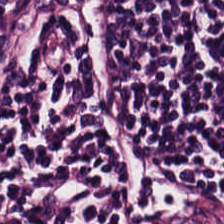Stain: H&E.
Tissue type: lymphocyte aggregate.
